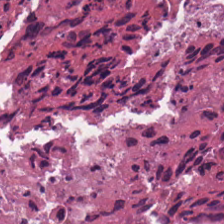Hematoxylin-and-eosin section: necrotic debris.
